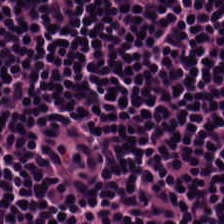Stain: hematoxylin-and-eosin stained section.
Tissue: lymphocytic infiltrate.
